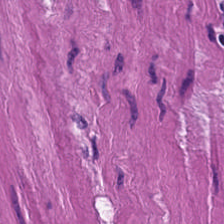Stain: hematoxylin-and-eosin stained section.
Tissue: muscularis.
